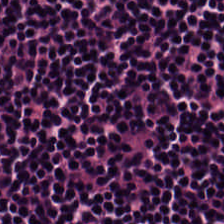H&E-stained tissue section showing lymphoid infiltrate.
